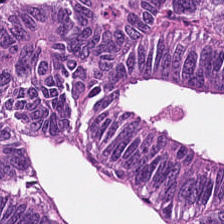Hematoxylin-and-eosin stained section.
Q: What is the predominant tissue type?
A: It is malignant epithelium.
